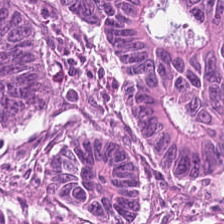Q: What tissue type is shown here?
A: This is tumor epithelium.
